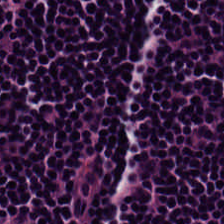H&E stain; formalin-fixed paraffin-embedded section; brightfield microscopy. This field is lymphocytic infiltrate.
